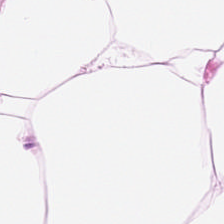Stain: hematoxylin-and-eosin stained section.
Resolution: 0.5 microns per pixel.
Preparation: FFPE.
Tissue: adipocytes.
